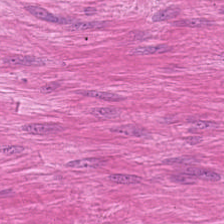H&E.
Predominant tissue = smooth-muscle tissue.
